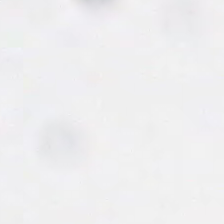H&E stain — Finding — empty background.
